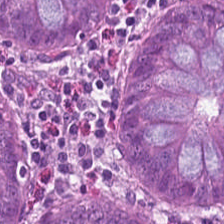224×224 pixel tile; H&E — Normal colonic mucosa.
